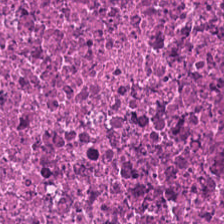H&E-stained section; the field shows debris.
